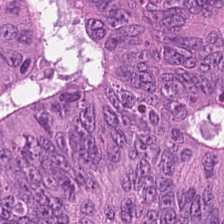H&E — The tissue class is adenocarcinoma.
